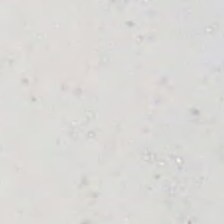H&E. No tissue.
